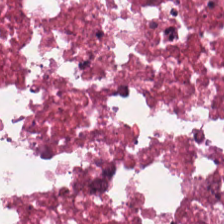Stain: H&E.
Resolution: 20× equivalent magnification.
Tile size: 224×224 px tile.
Predominant tissue: necrotic debris.
